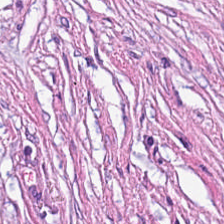H&E.
Showing cancer-associated stroma.
